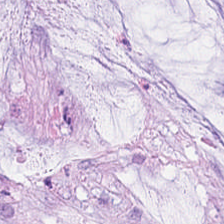H&E.
This patch shows extracellular mucin.
